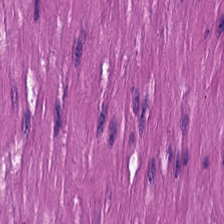H&E-stained tissue section. WSI patch. 224×224 pixel tile.
Finding → smooth-muscle tissue.
